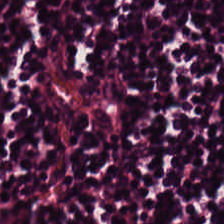Hematoxylin-and-eosin stained section — Tissue — lymphocytic infiltrate.
